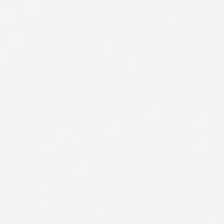Stain: H&E-stained tissue section.
Tile size: 224×224 pixel tile.
Classification: background.
